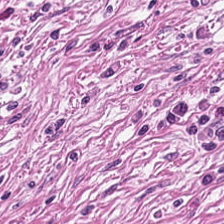H&E. Q: What is shown here?
A: The field shows tumor stroma.
